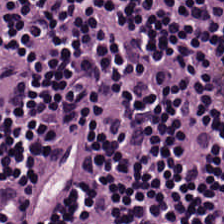H&E-stained tissue section — The tissue class is lymphocytic infiltrate.
